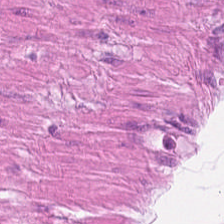Hematoxylin and eosin — This patch shows smooth muscle.
